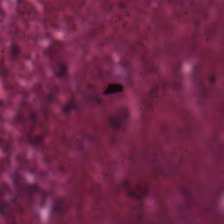Histology — cellular debris.
